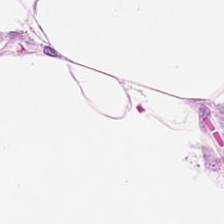H&E patch showing fat tissue.
